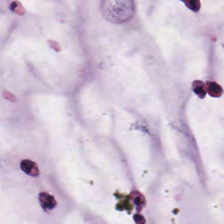H&E stain · WSI patch — The tissue here is extracellular mucin.
